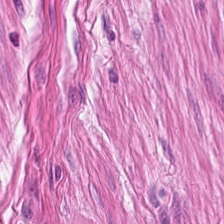Hematoxylin-and-eosin stained section; 0.5 µm per pixel — This patch shows muscularis.
